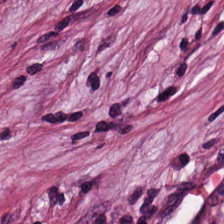H&E-stained tissue section. The predominant tissue is cancer-associated stroma.
